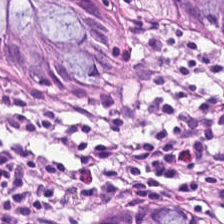Q: What tissue type is shown here?
A: Non-neoplastic colon mucosa.
